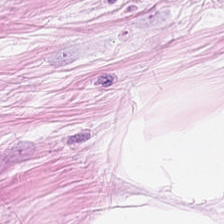Hematoxylin and eosin.
Predominantly adipose tissue.
